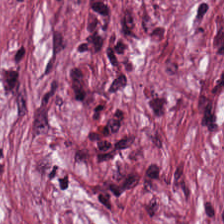WSI patch · H&E — Q: What type of tissue is this?
A: The field shows tumor-associated stroma.
